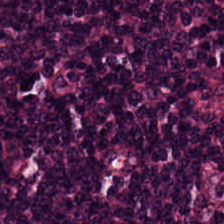H&E.
The predominant tissue is lymphoid infiltrate.
